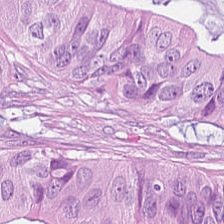Brightfield · hematoxylin and eosin. Q: What type of tissue is this?
A: Malignant epithelium.
